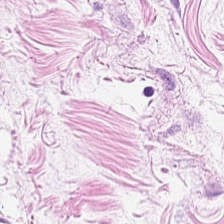Predominantly adipose.
